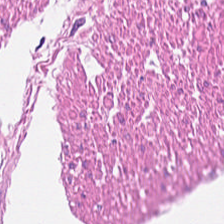FFPE; hematoxylin-and-eosin stained section — Q: What is the predominant tissue type?
A: It is smooth muscle.
